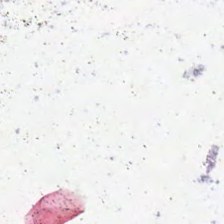Hematoxylin-and-eosin stained section — This patch shows no tissue.
